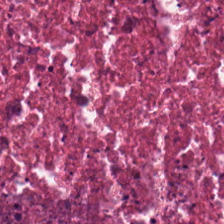Stain: H&E stain.
Tissue type: debris.
